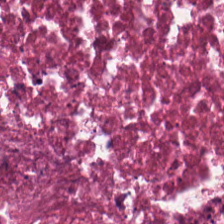H&E-stained section; the field shows debris.
